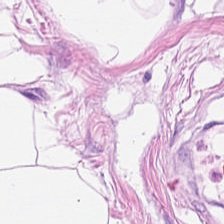{"tissue_type": "adipose"}
